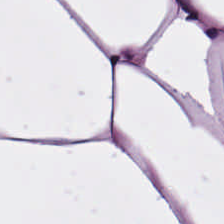Hematoxylin-and-eosin stained section — Tissue class: adipose tissue.
